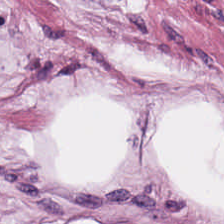H&E stain · 224×224 px patch. This field is adipocytes.
